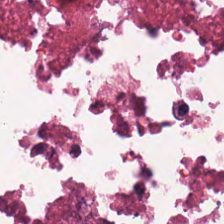Classification — necrotic debris.
